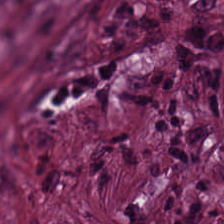Hematoxylin and eosin. Histology → desmoplastic stroma.
